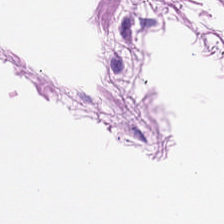H&E. Tissue type: muscularis.
